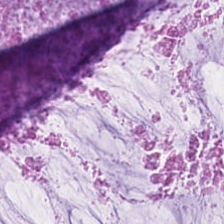Hematoxylin and eosin.
Q: What is the predominant tissue type?
A: It is extracellular mucin.
